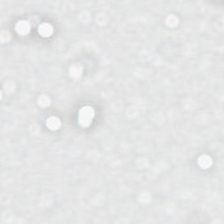H&E. This patch shows background.
